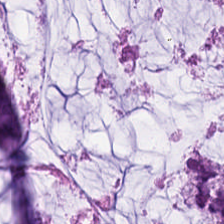H&E stain · brightfield — This patch shows extracellular mucin.
